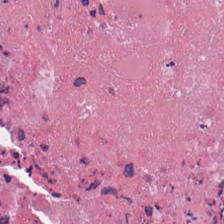Stain: H&E stain.
Tissue: cellular debris.
